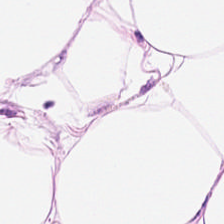Stain: hematoxylin-and-eosin stained section.
Preparation: formalin-fixed paraffin-embedded section.
Tissue type: adipose tissue.
